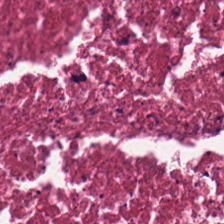WSI patch · H&E.
Q: What is the predominant tissue type?
A: This is debris.
